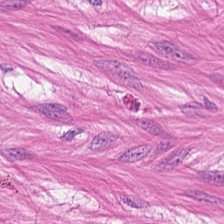H&E-stained tissue section showing smooth muscle.
